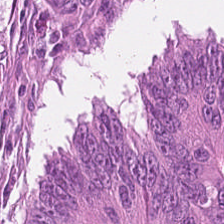This field is colorectal adenocarcinoma.
